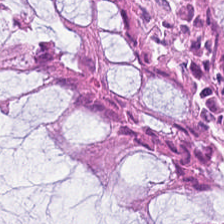H&E — The predominant tissue is normal colon mucosa.
